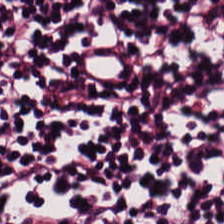Hematoxylin-and-eosin stained section; 20× equivalent magnification.
Showing lymphocytic infiltrate.
